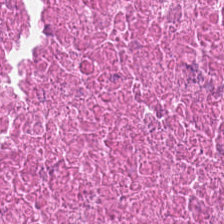Q: What is the predominant tissue type?
A: The field shows debris.
